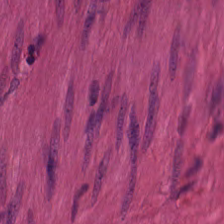H&E stain.
Predominant tissue: smooth-muscle tissue.
